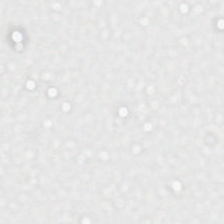H&E. 224×224 px patch. Q: What is shown here?
A: The field shows background (no tissue).
